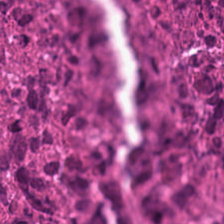H&E — cellular debris.
